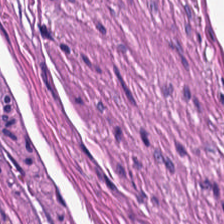0.5 microns per pixel · H&E stain — Q: Classify this patch.
A: This is smooth muscle.
